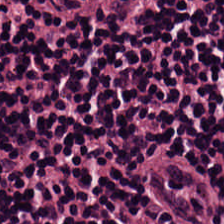Hematoxylin-and-eosin stained section. 0.5 µm per pixel. Q: What tissue type is shown here?
A: It is lymphocytes.
